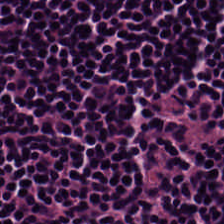The predominant tissue is lymphocyte aggregate.
